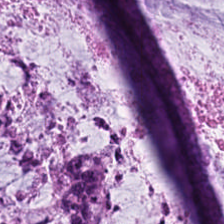H&E-stained tissue section.
Tissue — mucin.
